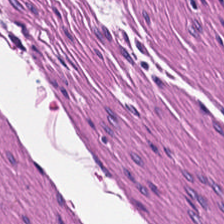This field is muscularis.
